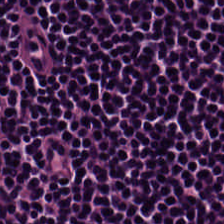WSI patch. Hematoxylin-and-eosin stained section. The predominant tissue is lymphocytes.
